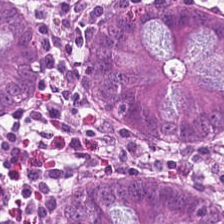H&E-stained tissue section — The tissue class is normal colon mucosa.
